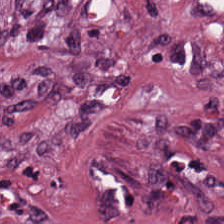Hematoxylin-and-eosin stained section.
{"tissue_type": "tumor stroma"}
